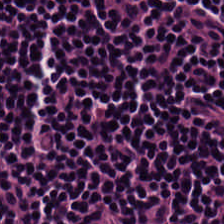Brightfield microscopy; H&E. {"tissue_type": "lymphocyte aggregate"}
